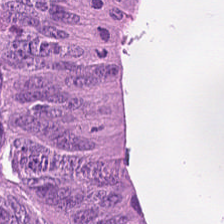H&E — adenocarcinoma.
